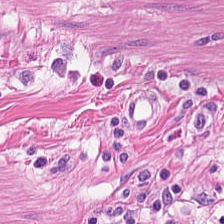This field is smooth-muscle tissue.
